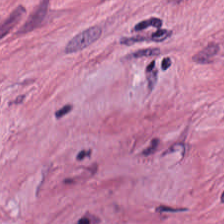The tissue here is tumor stroma.
